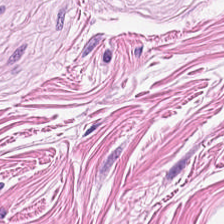H&E stain · 20× equivalent magnification — Q: Classify this patch.
A: This is smooth muscle.
